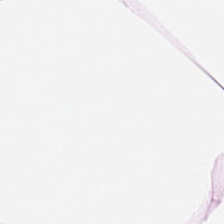Hematoxylin-and-eosin stained section. WSI patch — Showing fat tissue.
